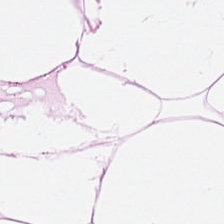Predominant tissue = adipose.
